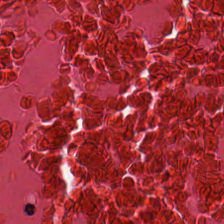H&E stain.
Q: Identify the tissue.
A: Necrotic debris.
